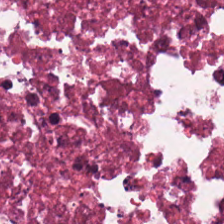Hematoxylin-and-eosin stained section — The tissue here is necrotic debris.
